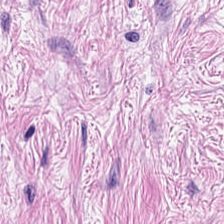The tissue here is tumor stroma.
